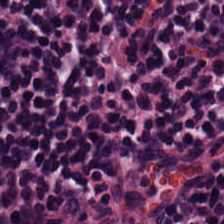H&E — Q: What tissue type is shown here?
A: This is lymphocytes.
